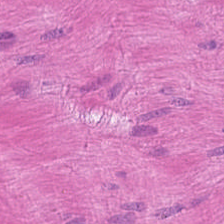FFPE tissue section; H&E stain; 0.5 µm per pixel. Q: Classify this patch.
A: This is smooth-muscle tissue.
